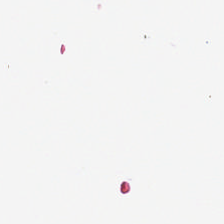Stain: hematoxylin-and-eosin stained section.
Field content: empty background.
